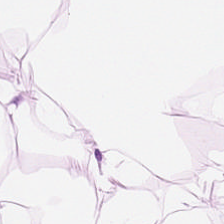This patch shows adipose tissue.
